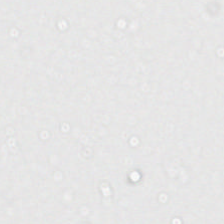Hematoxylin and eosin; 20× equivalent magnification; 224×224 px patch — Finding — no tissue.
